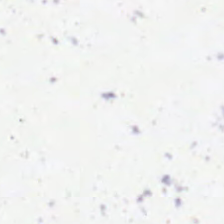Whole-slide-image patch. H&E-stained tissue section.
Q: What does this patch show?
A: It is empty background.
